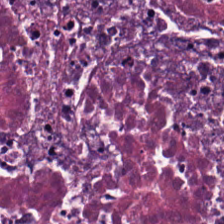Formalin-fixed paraffin-embedded section. Hematoxylin and eosin. This patch shows necrotic debris.
